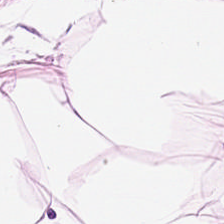H&E-stained tissue section — Q: What tissue is shown?
A: Adipose tissue.
